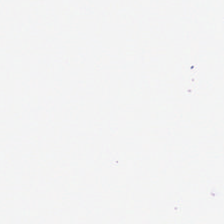0.5 µm per pixel; H&E — This field is background (no tissue).
